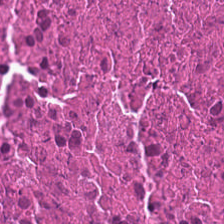Formalin-fixed paraffin-embedded section. Whole-slide-image patch. H&E stain.
Tissue type — necrotic debris.
